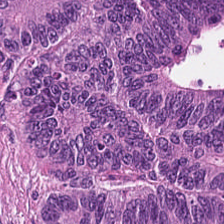Hematoxylin-and-eosin stained section · 224×224 px tile.
Q: What does this patch show?
A: It is colorectal adenocarcinoma.
